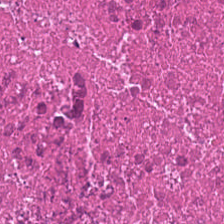Hematoxylin-and-eosin stained section — Q: What is the predominant tissue type?
A: Cellular debris.
